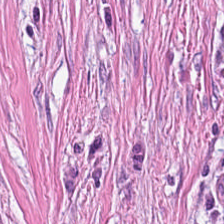This patch shows desmoplastic stroma.
